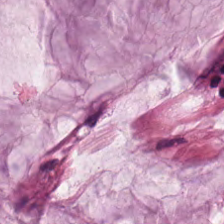H&E-stained tissue section · brightfield microscopy.
Mucin.
